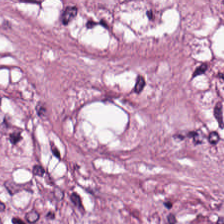Predominantly tumor-associated stroma.
